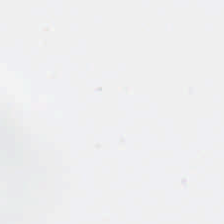Classification: background (no tissue).
